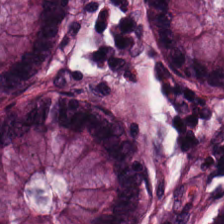{"tissue_type": "normal colonic mucosa"}
